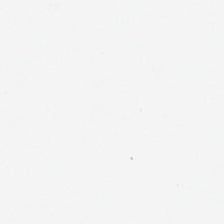Content = background (no tissue).
